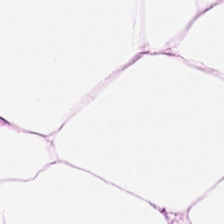Tissue — fat tissue.
